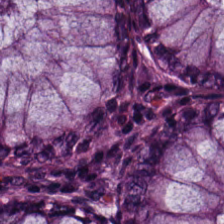224×224 pixel tile; H&E stain.
The predominant tissue is normal colonic mucosa.
